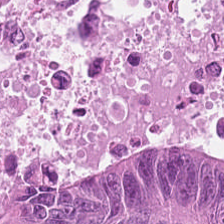224×224 px tile · hematoxylin and eosin — Impression → malignant epithelium.
